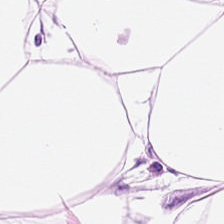H&E. {"tissue_type": "adipose tissue"}
